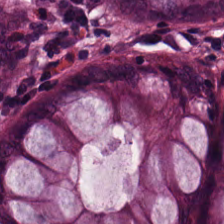Hematoxylin and eosin. Classification: benign colonic mucosa.
